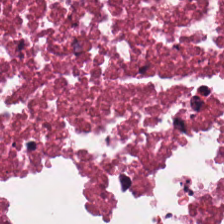Brightfield · H&E stain.
Q: What does this patch show?
A: Debris.
